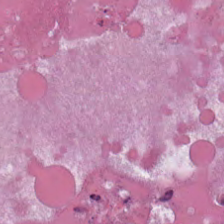Hematoxylin-and-eosin stained section; 20× equivalent magnification — The predominant tissue is necrotic debris.
